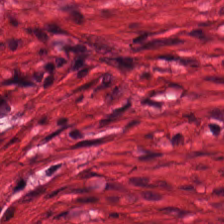20× equivalent magnification. FFPE tissue section. Hematoxylin-and-eosin stained section.
The predominant tissue is smooth muscle.
